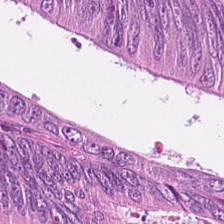This field is colorectal adenocarcinoma.
